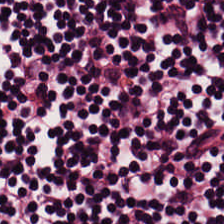H&E stain — The tissue here is lymphocyte aggregate.
